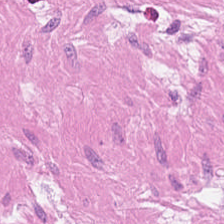Histology — smooth-muscle tissue.
